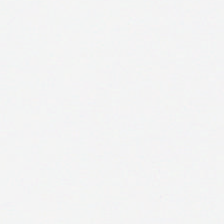Formalin-fixed paraffin-embedded section. 0.5 microns per pixel. H&E-stained tissue section.
No tissue present; background only.
